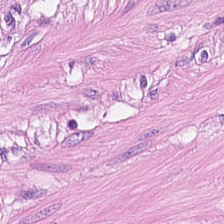Classification: muscularis.
